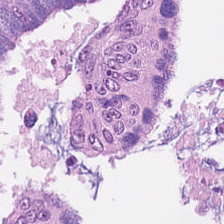Hematoxylin and eosin. The tissue here is adenocarcinoma.
